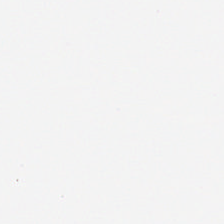224×224 px tile · hematoxylin and eosin.
Background — no tissue in this field.
